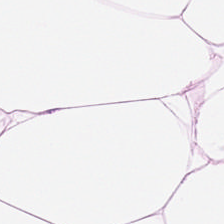This patch shows adipose tissue.
